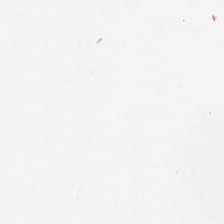H&E stain.
Classification: background (no tissue).
